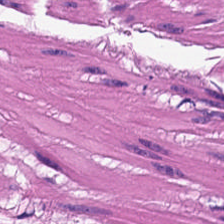Hematoxylin-and-eosin stained section — Predominantly muscularis.
